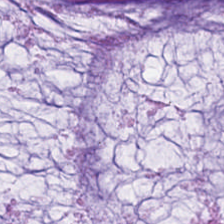Stain: hematoxylin and eosin.
Tissue: extracellular mucin.
